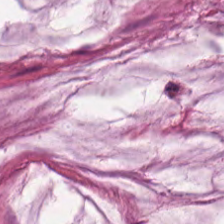H&E stain — This patch shows mucus.
